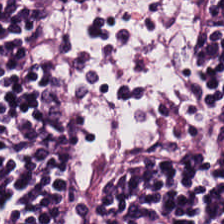Brightfield; H&E-stained tissue section. Q: What is shown in this field?
A: The field shows lymphocyte aggregate.
